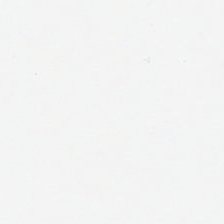H&E stain. FFPE. 0.5 microns per pixel — Q: What is shown here?
A: This is background.
